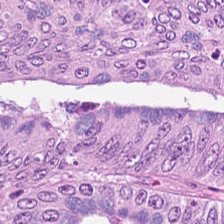H&E stain. FFPE — Classification: tumor epithelium.
